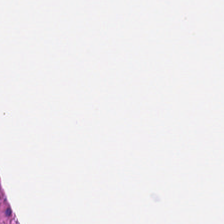The predominant tissue is smooth-muscle tissue.
